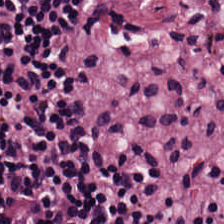Hematoxylin and eosin. FFPE.
Q: Classify this patch.
A: The field shows lymphocyte aggregate.
